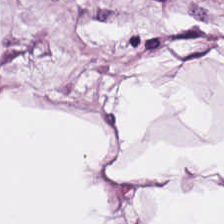Tissue class: adipose tissue.
